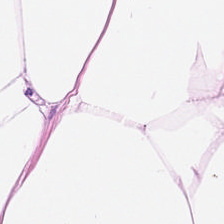Predominantly fat tissue.
